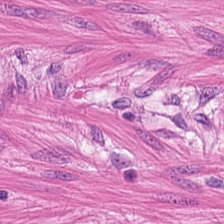H&E stain — Finding → muscularis.
